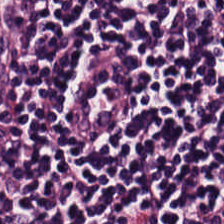224×224 px patch. H&E-stained tissue section. Formalin-fixed paraffin-embedded section — The tissue here is lymphoid infiltrate.
